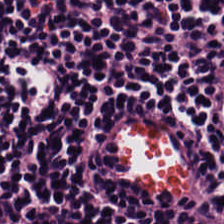0.5 µm/px · hematoxylin-and-eosin stained section — Q: What tissue is shown?
A: Lymphocyte aggregate.
